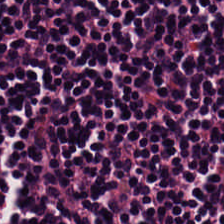The classification is lymphocytes.
